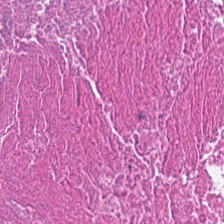Q: Identify the tissue.
A: This is necrotic debris.
